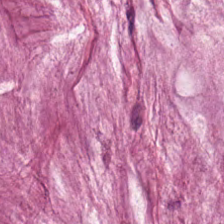224×224 px tile · H&E — Histology — mucus.
